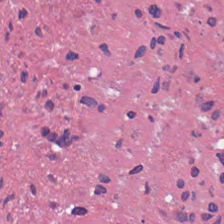H&E stain; 0.5 µm/px. Q: What tissue is shown?
A: It is necrotic debris.
